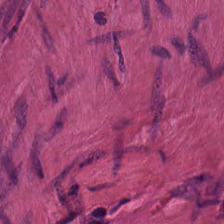H&E stain — The tissue is muscularis.
